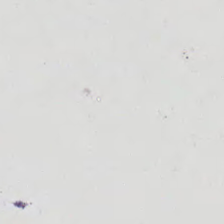H&E. Brightfield microscopy. 224×224 px tile — Impression → empty background.
